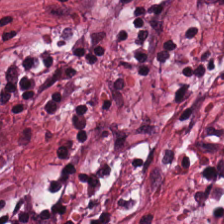Tissue = cancer-associated stroma.
